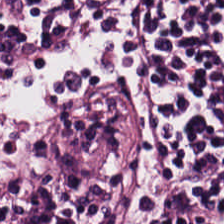H&E-stained tissue section. Q: Classify this patch.
A: It is lymphocytic infiltrate.
